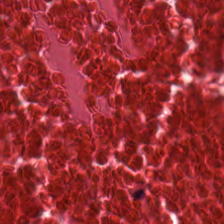Whole-slide-image patch · hematoxylin-and-eosin stained section · 0.5 µm/px. Q: Classify this patch.
A: This is necrotic debris.
